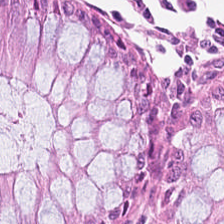Hematoxylin-and-eosin stained section — Impression — normal colonic mucosa.
